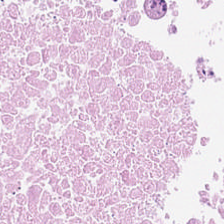Q: Identify the tissue.
A: Debris.
